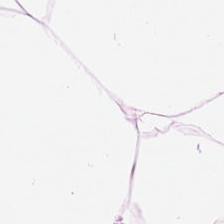Hematoxylin-and-eosin stained section; formalin-fixed paraffin-embedded section; 0.5 µm/px.
Predominantly adipose.
